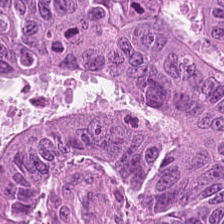H&E. Predominant tissue = tumor epithelium.
